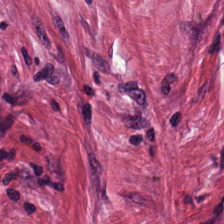Brightfield. H&E stain. 224×224 px patch — This patch shows tumor stroma.
